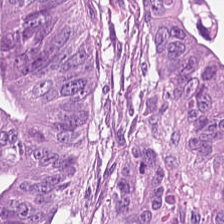The tissue class is colorectal adenocarcinoma.
